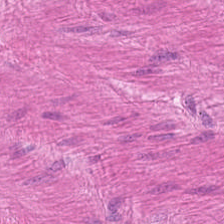Hematoxylin-and-eosin stained section. This patch shows smooth-muscle tissue.
